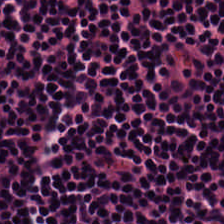Hematoxylin and eosin — Histology — lymphoid infiltrate.
